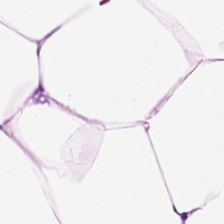H&E. Q: What tissue type is shown here?
A: The field shows adipocytes.
